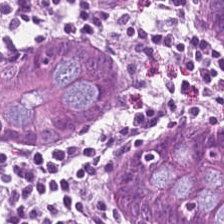This patch shows non-neoplastic colon mucosa.
